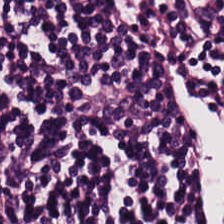Stain: H&E-stained tissue section.
Tissue type: lymphocyte aggregate.
